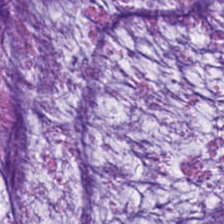0.5 µm/px · hematoxylin-and-eosin stained section · 224×224 px tile.
Q: Classify this patch.
A: Mucus.
